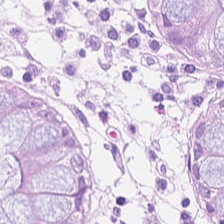Tissue type = non-neoplastic colon mucosa.
